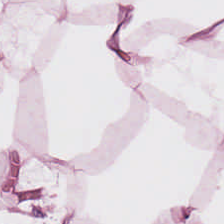Hematoxylin and eosin; 0.5 µm per pixel; brightfield microscopy. Q: What does this patch show?
A: The field shows adipocytes.
